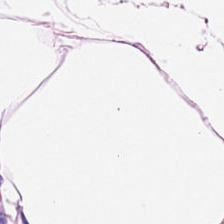H&E — Q: What does this patch show?
A: This is adipose tissue.
